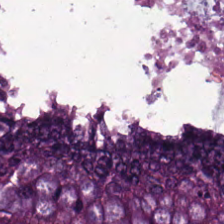Stain: hematoxylin-and-eosin stained section.
Resolution: 0.5 microns per pixel.
Tile size: 224×224 pixel tile.
Tissue type: malignant epithelium.
